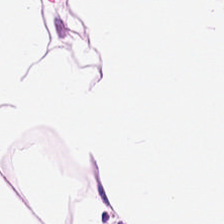H&E-stained tissue section. The tissue here is adipose.
